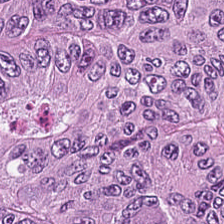H&E — Q: Classify this patch.
A: Adenocarcinoma.
